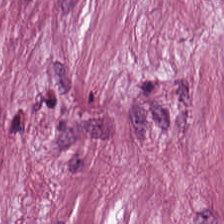H&E stain. Formalin-fixed paraffin-embedded section — Classification: desmoplastic stroma.
